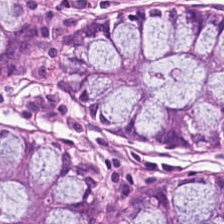Stain: H&E stain.
Acquisition: WSI patch.
Resolution: 0.5 µm per pixel.
Predominant tissue: normal colon mucosa.
